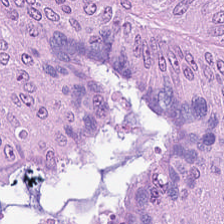Hematoxylin and eosin.
Q: Classify this patch.
A: Tumor epithelium.
